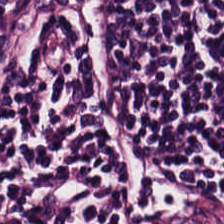H&E stain · FFPE.
Q: What is the predominant tissue type?
A: This is lymphocyte aggregate.
